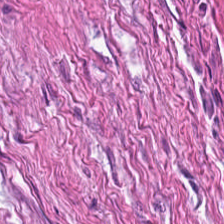Stain: H&E stain.
Classification: smooth-muscle tissue.
